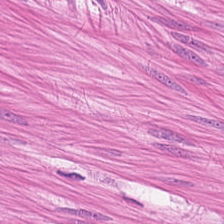H&E stain · WSI patch · formalin-fixed paraffin-embedded section. Muscularis.
